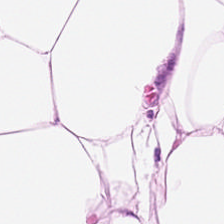H&E-stained tissue section; whole-slide-image patch. This field is fat tissue.
